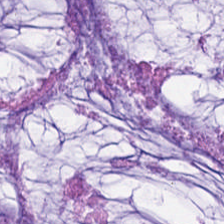Hematoxylin and eosin. Finding → mucus.
